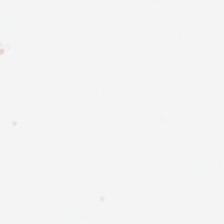Hematoxylin-and-eosin stained section — Classification: background (no tissue).
